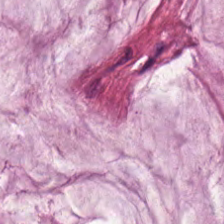Formalin-fixed paraffin-embedded section · H&E stain. Tissue type: mucus.
